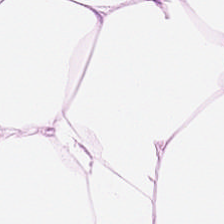Q: What tissue is shown?
A: The field shows fat tissue.
